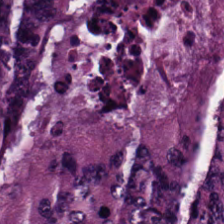H&E stain.
Q: What is the predominant tissue type?
A: It is colorectal adenocarcinoma epithelium.
